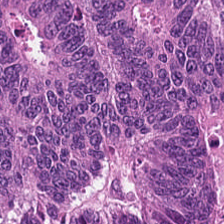Q: Identify the tissue.
A: The field shows tumor epithelium.
